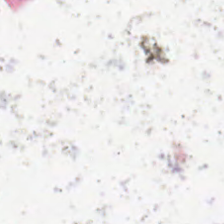Hematoxylin and eosin.
Classification — no tissue.
